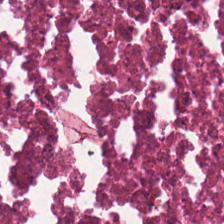Stain: H&E.
Acquisition: brightfield.
Preparation: FFPE.
Tissue class: necrotic debris.
